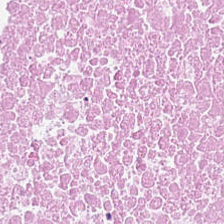Q: What is shown here?
A: The field shows cellular debris.
